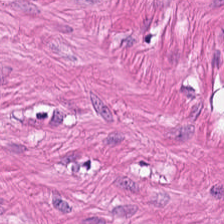{"tissue_type": "smooth-muscle tissue"}
